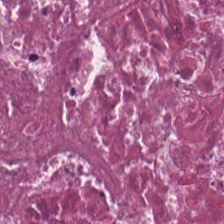Tissue class — cellular debris.
